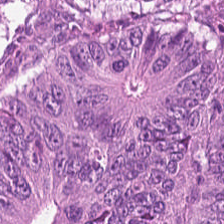H&E stain. Q: What tissue is shown?
A: This is adenocarcinoma.
